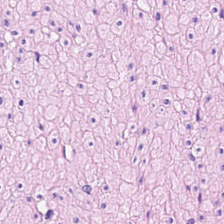Hematoxylin-and-eosin stained section.
Tissue — muscularis.
